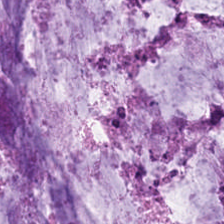Stain: H&E-stained tissue section.
Resolution: 0.5 microns per pixel.
Classification: extracellular mucin.
